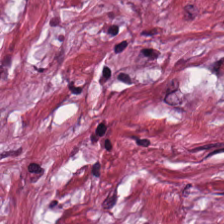0.5 µm/px; H&E-stained tissue section. Histology → cancer-associated stroma.
